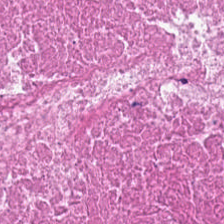H&E stain. Formalin-fixed paraffin-embedded section. This field is cellular debris.
